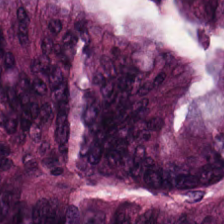Stain: H&E.
Tissue type: malignant epithelium.
